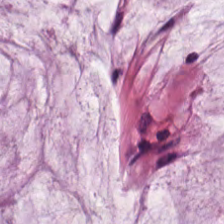H&E.
Impression — mucin.
